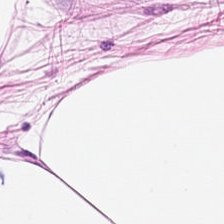H&E stain.
Impression — adipose.
